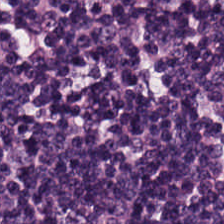Hematoxylin-and-eosin stained section. 0.5 microns per pixel.
Predominantly lymphocytes.
